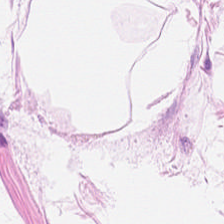Hematoxylin and eosin — Histology — fat tissue.
